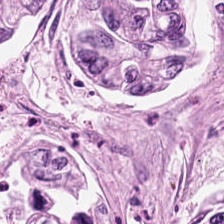Stain: hematoxylin-and-eosin stained section.
Preparation: FFPE.
Tissue: tumor epithelium.
